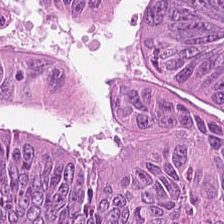Stain: hematoxylin-and-eosin stained section.
Tissue type: colorectal adenocarcinoma.
